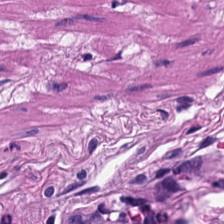Stain: H&E stain.
Tissue: smooth muscle.
